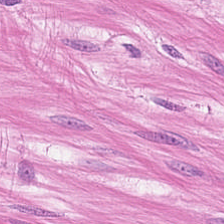Brightfield; 0.5 µm per pixel; hematoxylin-and-eosin stained section.
Tissue — smooth-muscle tissue.
